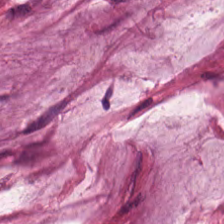Hematoxylin and eosin.
Histology — mucin.
